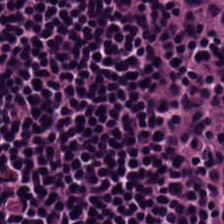H&E · FFPE · whole-slide-image patch.
The tissue here is lymphocytic infiltrate.
